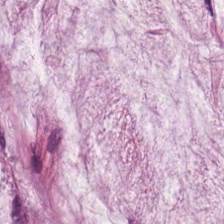Hematoxylin and eosin; FFPE tissue section.
The tissue here is extracellular mucin.
